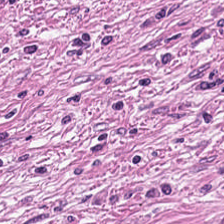0.5 microns per pixel. H&E stain. WSI patch.
Histology — cancer-associated stroma.
